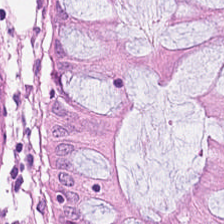224×224 pixel tile · H&E stain — Q: Identify the tissue.
A: The field shows non-neoplastic colon mucosa.
